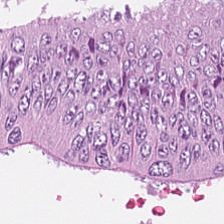224×224 px tile; H&E. Predominant tissue — adenocarcinoma.
